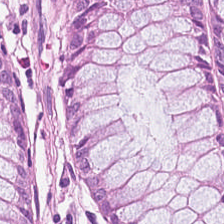Stain: hematoxylin and eosin.
Resolution: 20× equivalent magnification.
Tissue class: benign colonic mucosa.
